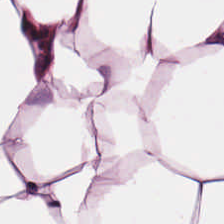H&E. This field is fat tissue.
